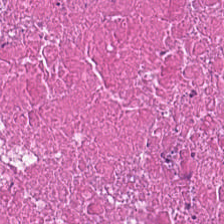Finding — debris.
